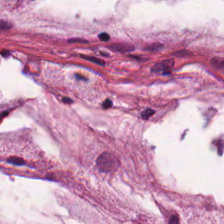H&E stain.
Q: Classify this patch.
A: It is extracellular mucin.
